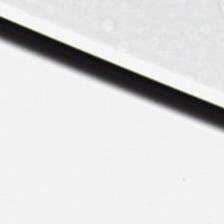224×224 px tile. Hematoxylin-and-eosin stained section. Background — no tissue in this field.
